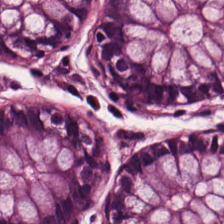Q: Classify this patch.
A: Normal colon mucosa.
